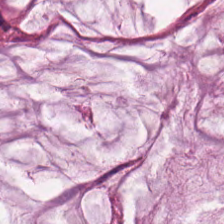H&E-stained tissue section.
Mucus.
